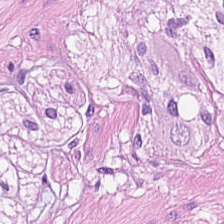H&E-stained tissue section. Histology — smooth muscle.
